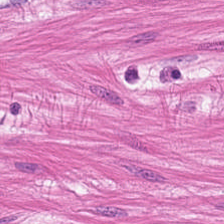{"tissue_type": "smooth-muscle tissue"}
